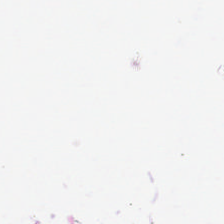Field content: no tissue.
